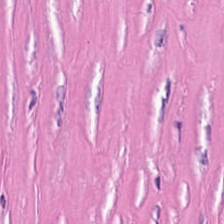H&E stain.
Showing desmoplastic stroma.
